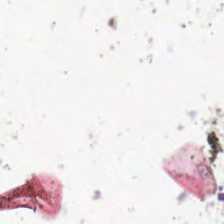H&E · 224×224 px tile — Histology — empty background.
